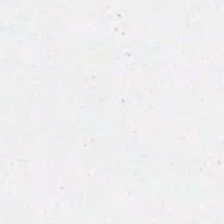H&E-stained tissue section. The classification is background.
